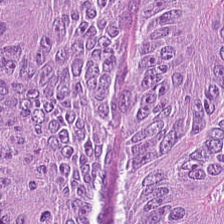H&E stain.
This patch shows colorectal adenocarcinoma epithelium.
